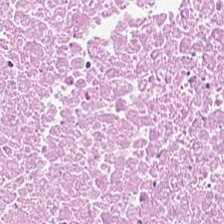Brightfield. 0.5 µm per pixel. Hematoxylin and eosin. Tissue = debris.
